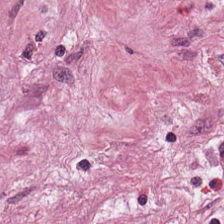Hematoxylin-and-eosin stained section.
Predominant tissue = tumor-associated stroma.
